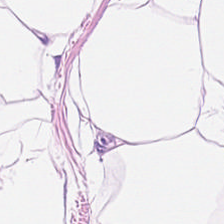0.5 µm/px. Hematoxylin-and-eosin stained section. Q: What is shown in this field?
A: Fat tissue.
